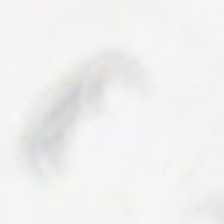H&E stain. 224×224 px patch. FFPE.
Q: Classify this patch.
A: This is background (no tissue).
